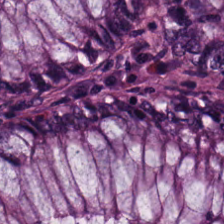20× equivalent magnification · hematoxylin and eosin — This patch shows non-neoplastic colon mucosa.
